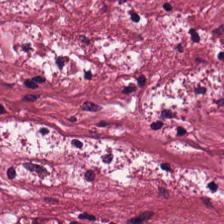Q: What is the predominant tissue type?
A: The field shows cancer-associated stroma.
